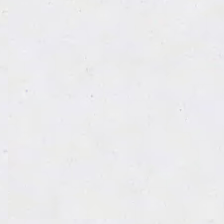No tissue present; background only.
